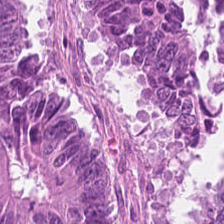H&E-stained tissue section. 20× equivalent magnification — The predominant tissue is malignant epithelium.
